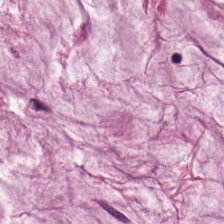{"tissue_type": "extracellular mucin"}
